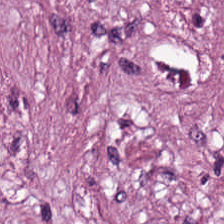Stain: hematoxylin-and-eosin stained section.
Tissue: cancer-associated stroma.
